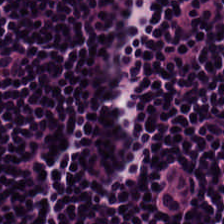Q: What tissue is shown?
A: This is lymphoid infiltrate.
